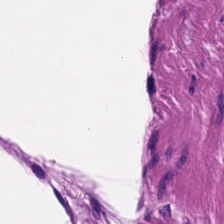Finding — muscularis.
